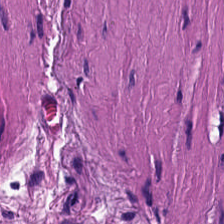H&E-stained tissue section · WSI patch.
Q: What does this patch show?
A: Smooth-muscle tissue.
